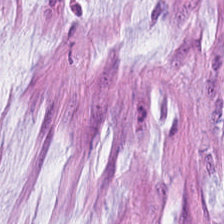FFPE; 224×224 pixel tile; H&E. Mucus.
